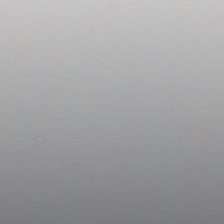224×224 px tile. Hematoxylin and eosin.
{"content": "background (no tissue)"}
